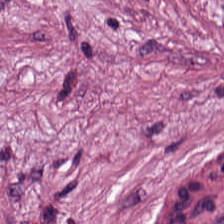Q: What does this patch show?
A: This is tumor-associated stroma.
